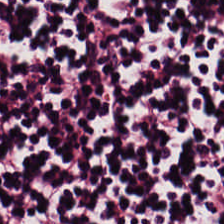0.5 µm/px. FFPE. H&E-stained tissue section. Tissue type: lymphocytes.
